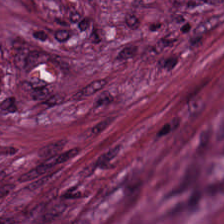Stain: hematoxylin-and-eosin stained section.
Preparation: FFPE tissue section.
Tissue class: tumor-associated stroma.
